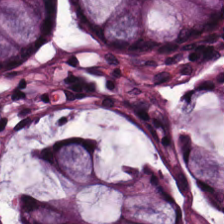Stain: hematoxylin and eosin.
Predominant tissue: normal colonic mucosa.
